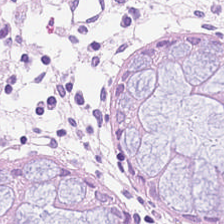224×224 px patch · H&E — Q: What is the predominant tissue type?
A: This is normal colon mucosa.
